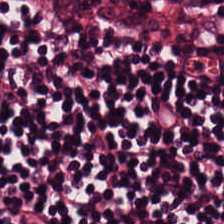Hematoxylin and eosin — The tissue here is lymphocyte aggregate.
